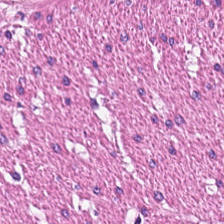Predominant tissue = muscularis.
